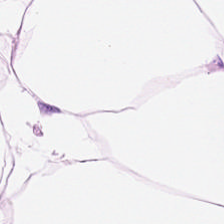Stain: hematoxylin and eosin.
Resolution: 0.5 µm per pixel.
Tissue class: fat tissue.
